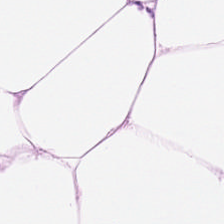Stain: H&E.
Resolution: 0.5 µm/px.
Tissue type: adipose.
